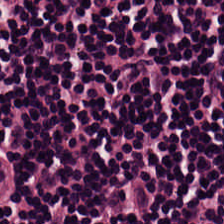Stain: H&E-stained tissue section.
Tissue type: lymphocytes.
